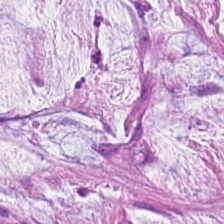H&E stain. Formalin-fixed paraffin-embedded section — This patch shows mucus.
